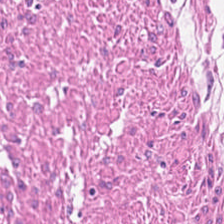Hematoxylin and eosin.
Muscularis.
